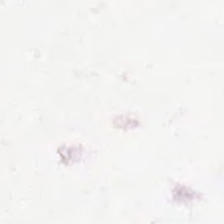Stain: H&E stain.
Content: empty background.
